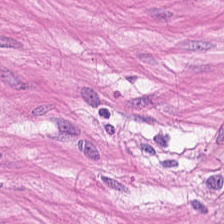Smooth-muscle tissue.
